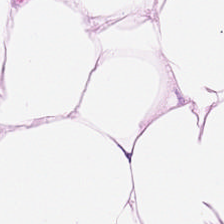H&E-stained tissue section; 224×224 pixel tile — Showing adipose tissue.
